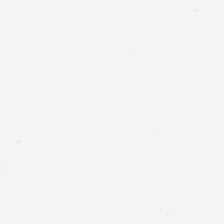H&E-stained tissue section. Finding → empty background.
